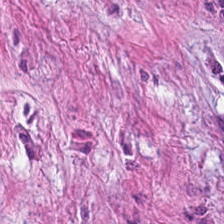224×224 px tile; H&E stain; FFPE tissue section — {"tissue_type": "tumor-associated stroma"}
